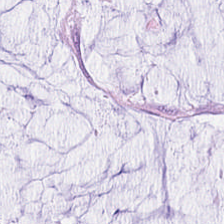20× equivalent magnification · H&E · FFPE — Extracellular mucin.
